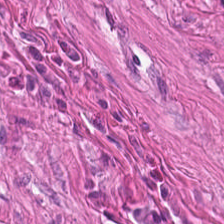Hematoxylin-and-eosin stained section; FFPE; 0.5 µm/px — Histology — smooth-muscle tissue.
